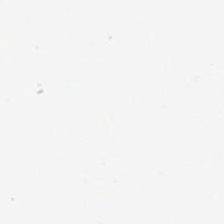H&E. This field is background (no tissue).
